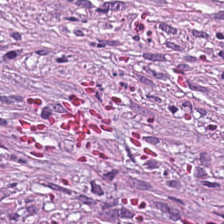The tissue class is tumor stroma.
